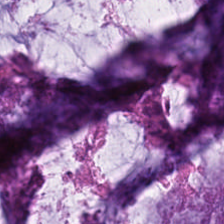H&E patch showing extracellular mucin.
